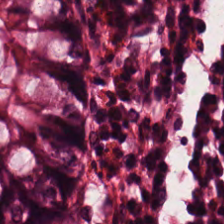0.5 µm per pixel · hematoxylin and eosin — Showing normal colon mucosa.
